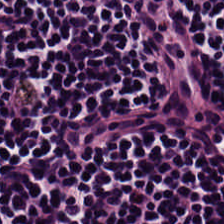224×224 px tile. Hematoxylin and eosin. The predominant tissue is lymphocyte aggregate.
